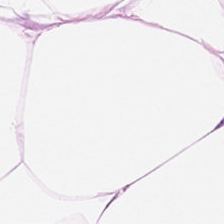0.5 µm per pixel · H&E stain — Q: What tissue type is shown here?
A: The field shows adipose tissue.
